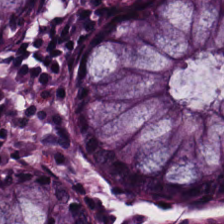Stain: hematoxylin and eosin.
Tile size: 224×224 px tile.
Acquisition: whole-slide-image patch.
Predominant tissue: non-neoplastic colon mucosa.
